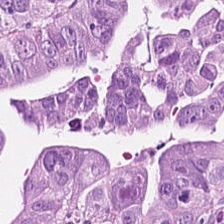Stain: H&E.
Tissue type: colorectal adenocarcinoma epithelium.
